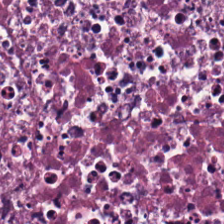H&E — Predominantly debris.
